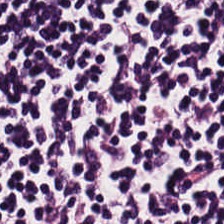H&E-stained tissue section — The tissue here is lymphocytic infiltrate.
